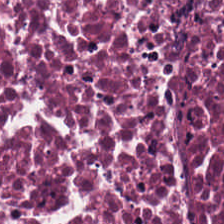H&E-stained section; the field shows necrotic debris.
